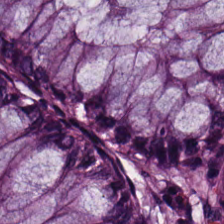Stain: H&E stain.
Preparation: FFPE tissue section.
Tissue type: normal colonic mucosa.
